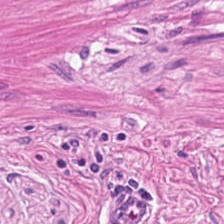H&E. 0.5 microns per pixel. The tissue here is smooth muscle.
